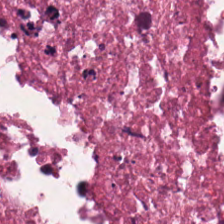224×224 pixel tile. H&E. 0.5 microns per pixel.
The tissue here is cellular debris.
